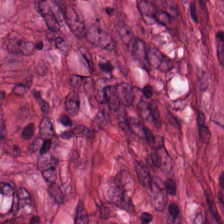Hematoxylin-and-eosin stained section — This patch shows tumor-associated stroma.
